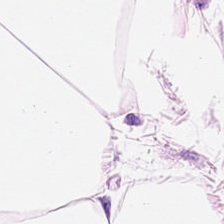Stain: hematoxylin-and-eosin stained section.
Tissue class: adipose tissue.
